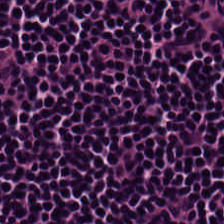Hematoxylin and eosin — {"tissue_type": "lymphoid infiltrate"}
